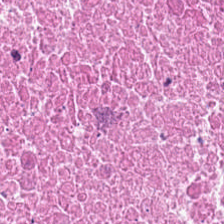H&E-stained tissue section. Formalin-fixed paraffin-embedded section — Finding → necrotic debris.
